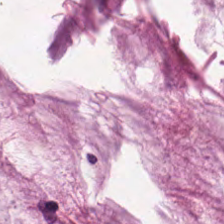H&E-stained tissue section.
Showing mucus.
